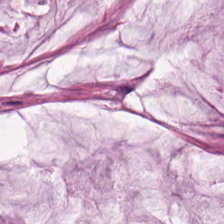224×224 pixel tile; hematoxylin and eosin; 0.5 µm per pixel.
Q: Identify the tissue.
A: This is mucin.
